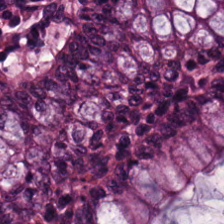H&E stain · FFPE tissue section · 0.5 µm per pixel.
Predominantly benign colonic mucosa.
